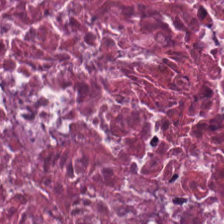H&E stain; 0.5 microns per pixel.
Q: What is the predominant tissue type?
A: The field shows debris.
